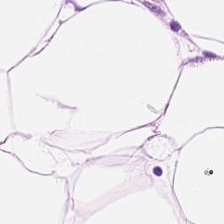H&E stain.
Q: What is shown in this field?
A: The field shows fat tissue.
